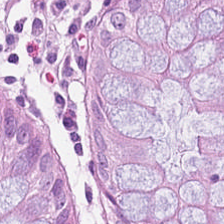H&E-stained tissue section showing normal colon mucosa.
